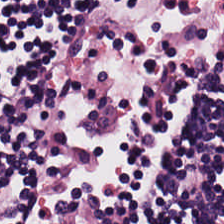Hematoxylin-and-eosin stained section.
Showing lymphoid infiltrate.
